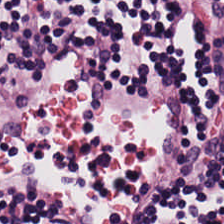Tissue class: lymphoid infiltrate.
